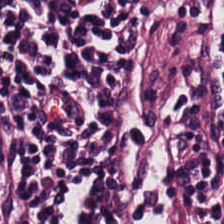Histology — lymphocytes.
